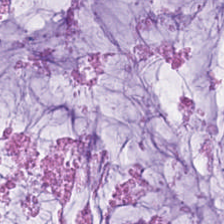H&E stain.
Q: What is shown in this field?
A: Mucus.
